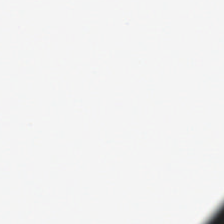Stain: H&E-stained tissue section.
Content: no tissue.
